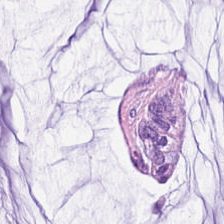Hematoxylin and eosin. 224×224 pixel tile — Finding — mucin.
